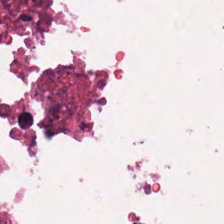H&E-stained tissue section; FFPE. The tissue here is necrotic debris.
